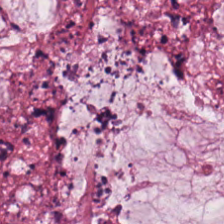The predominant tissue is mucin.
